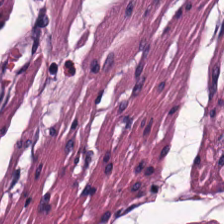0.5 µm/px. H&E. FFPE.
Classification: muscularis.
